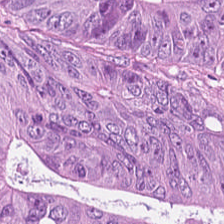H&E stain · FFPE · brightfield microscopy.
Histology → colorectal adenocarcinoma.
